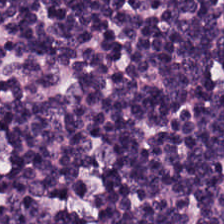H&E stain — {"tissue_type": "lymphocytic infiltrate"}
